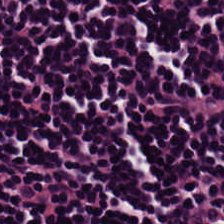Hematoxylin and eosin · 224×224 px patch · brightfield microscopy. The tissue here is lymphocyte aggregate.
